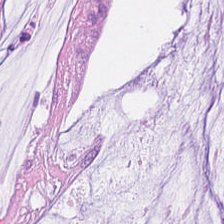H&E.
Predominantly mucin.
